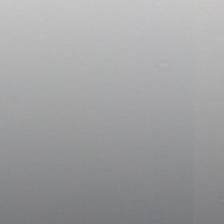Hematoxylin and eosin.
Impression — background.
